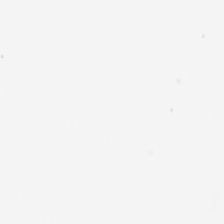Hematoxylin-and-eosin stained section; 20× equivalent magnification — Q: What does this patch show?
A: It is background.
